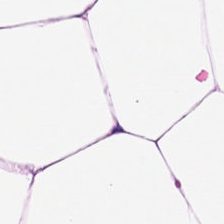Impression → adipocytes.
